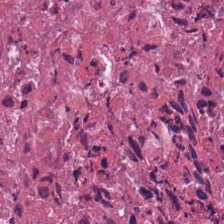224×224 px tile · FFPE tissue section · H&E — The tissue here is necrotic debris.
